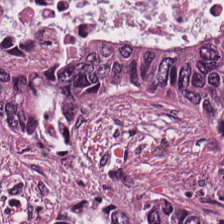Stain: H&E stain.
Tissue class: malignant epithelium.
